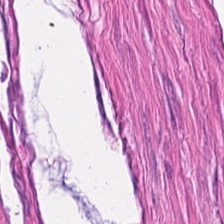Hematoxylin-and-eosin stained section · whole-slide-image patch · 224×224 px tile.
This patch shows smooth-muscle tissue.
